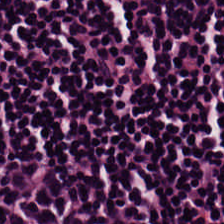Hematoxylin-and-eosin section: lymphocyte aggregate.
